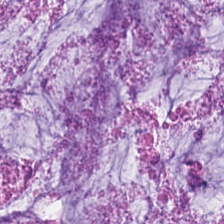Hematoxylin-and-eosin stained section. 0.5 microns per pixel.
Q: What type of tissue is this?
A: This is extracellular mucin.
